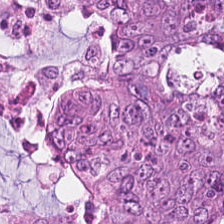Hematoxylin and eosin.
Predominant tissue = tumor epithelium.
